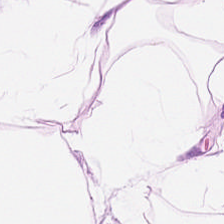Predominant tissue = adipose.
